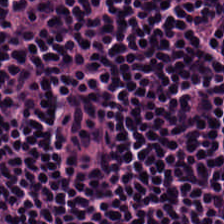Hematoxylin and eosin. {"tissue_type": "lymphoid infiltrate"}
